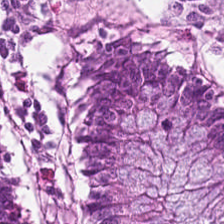Brightfield microscopy · H&E.
{"tissue_type": "normal colon mucosa"}
